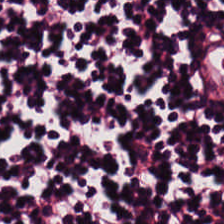224×224 px patch · H&E stain.
Tissue: lymphoid infiltrate.
